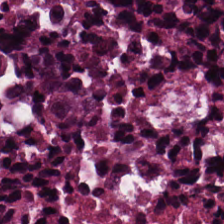Hematoxylin-and-eosin stained section · FFPE tissue section.
Predominant tissue: necrotic debris.
